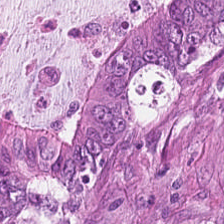Finding → tumor epithelium.
